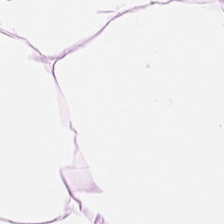Hematoxylin and eosin. Brightfield — This patch shows adipose tissue.
